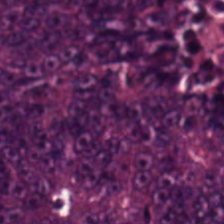Hematoxylin-and-eosin stained section — Tissue — malignant epithelium.
